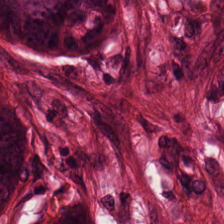Q: What tissue type is shown here?
A: This is adenocarcinoma.
